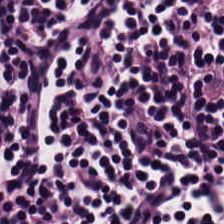H&E; formalin-fixed paraffin-embedded section. This patch shows lymphocytic infiltrate.
